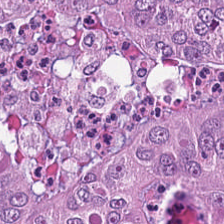Tissue type = colorectal adenocarcinoma.
